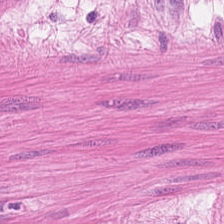Tissue class = muscularis.
